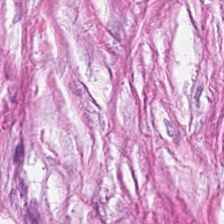Stain: H&E stain.
Tissue class: tumor-associated stroma.
